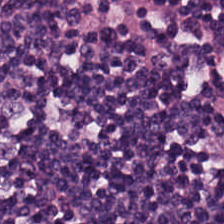Histology — lymphocytes.
